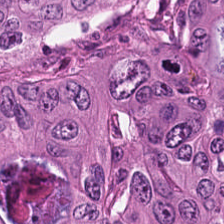The predominant tissue is tumor epithelium.
